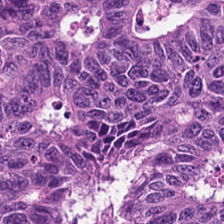H&E-stained tissue section — Tissue type = colorectal adenocarcinoma.
